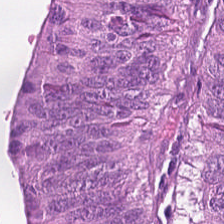H&E · whole-slide-image patch.
Impression — adenocarcinoma.
